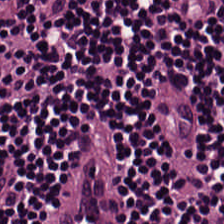Stain: H&E.
Acquisition: brightfield.
Resolution: 0.5 microns per pixel.
Tissue: lymphocytic infiltrate.
